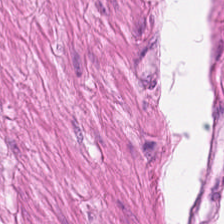H&E stain. Histology — smooth-muscle tissue.
